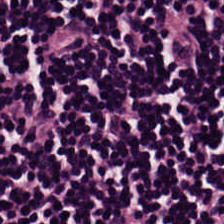H&E stain; 0.5 µm/px. Lymphocytic infiltrate.
